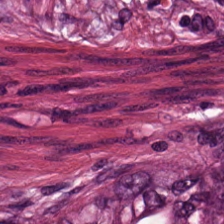Hematoxylin and eosin · 224×224 pixel tile — The tissue here is tumor-associated stroma.
